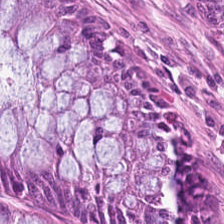Stain: H&E.
Tissue type: normal colonic mucosa.
